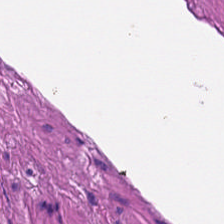224×224 px patch · FFPE · hematoxylin-and-eosin stained section.
The tissue here is muscularis.
